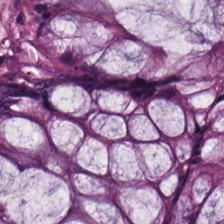FFPE tissue section; 224×224 px patch; H&E stain. This field is normal colon mucosa.
